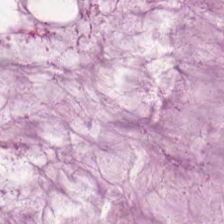H&E stain — The predominant tissue is extracellular mucin.
